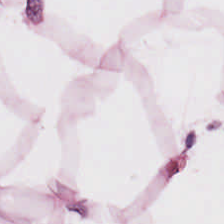0.5 µm per pixel; H&E-stained tissue section. Tissue type: adipose tissue.
